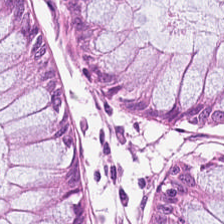224×224 px patch. H&E-stained tissue section — Predominant tissue: normal colonic mucosa.
